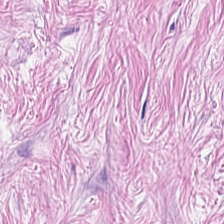The tissue class is desmoplastic stroma.
